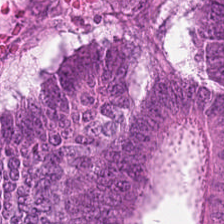H&E — The tissue here is colorectal adenocarcinoma epithelium.
